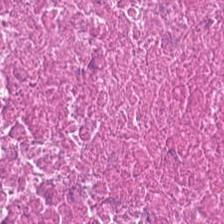The tissue class is cellular debris.
